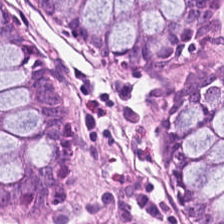Finding — non-neoplastic colon mucosa.
